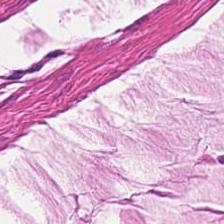Hematoxylin-and-eosin stained section; brightfield.
Classification = smooth muscle.
